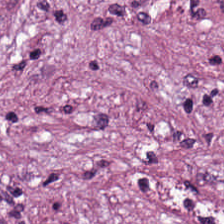Hematoxylin and eosin.
Classification — cancer-associated stroma.
